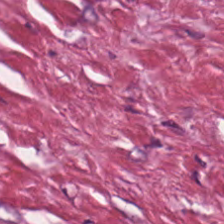FFPE tissue section; 0.5 µm/px; H&E — {"tissue_type": "tumor-associated stroma"}
